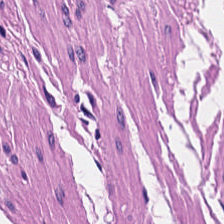Hematoxylin-and-eosin stained section.
Predominantly smooth-muscle tissue.
